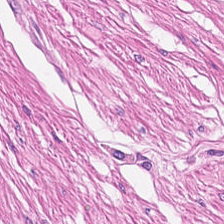Stain: H&E.
Preparation: FFPE.
Acquisition: brightfield microscopy.
Classification: smooth-muscle tissue.
